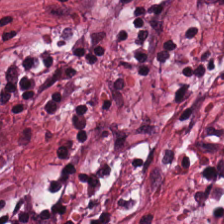H&E stain.
Tissue class — tumor stroma.
